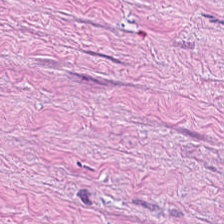H&E-stained tissue section. The tissue is tumor stroma.
